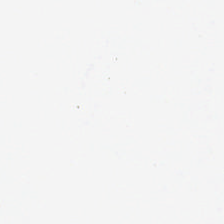H&E stain; 224×224 px patch; FFPE tissue section.
This patch shows background.
